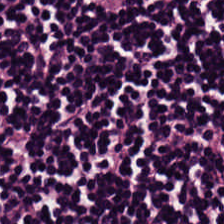Hematoxylin-and-eosin section: lymphocyte aggregate.
